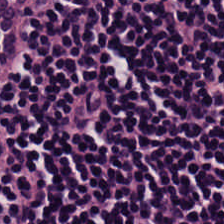224×224 px tile · H&E-stained tissue section — This field is lymphocyte aggregate.
